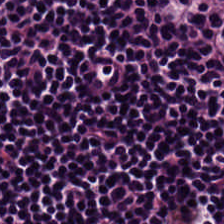Brightfield; hematoxylin-and-eosin stained section.
Histology — lymphoid infiltrate.
